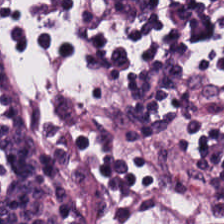H&E. The tissue class is lymphoid infiltrate.
